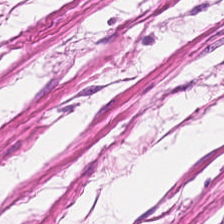H&E-stained tissue section · 20× equivalent magnification — {"tissue_type": "smooth muscle"}
